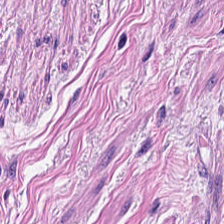0.5 µm/px · 224×224 px patch · H&E — The tissue class is muscularis.
